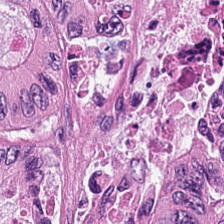Tissue — colorectal adenocarcinoma.
